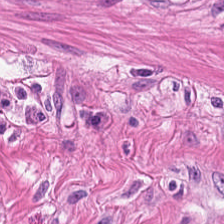H&E-stained tissue section. Showing smooth-muscle tissue.
